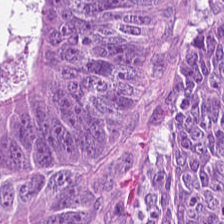H&E-stained tissue section. Finding — adenocarcinoma.
